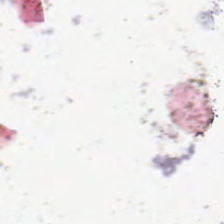224×224 px patch; FFPE tissue section; hematoxylin-and-eosin stained section — Background — no tissue in this field.
